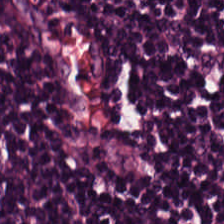Stain: H&E stain.
Acquisition: whole-slide-image patch.
Tissue: lymphocytic infiltrate.
